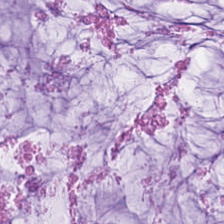Hematoxylin-and-eosin stained section. {"tissue_type": "mucus"}
